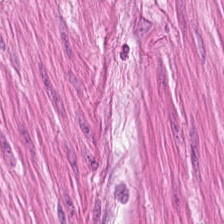Hematoxylin-and-eosin stained section. Predominantly muscularis.
